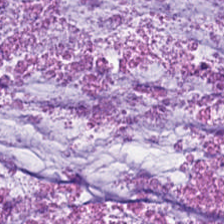Tissue = mucus.
